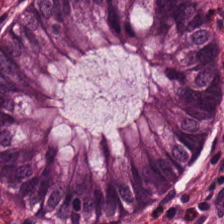Brightfield microscopy; H&E stain. Benign colonic mucosa.
